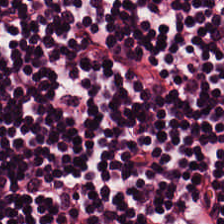H&E stain — Predominantly lymphoid infiltrate.
